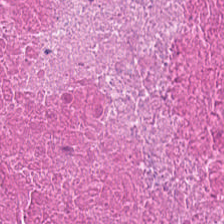Hematoxylin-and-eosin stained section — Showing necrotic debris.
